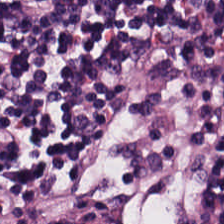Hematoxylin and eosin; 224×224 pixel tile. This patch shows lymphoid infiltrate.
